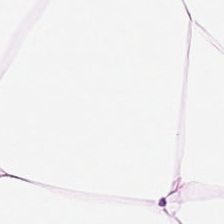Showing adipose tissue.
